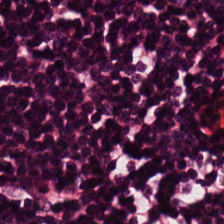Hematoxylin-and-eosin stained section. Showing lymphocytes.
